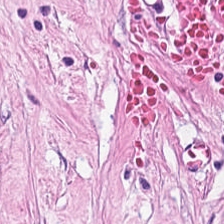Hematoxylin and eosin — Q: What is shown here?
A: This is cancer-associated stroma.
